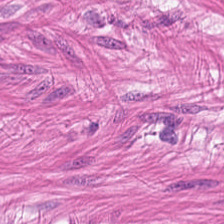H&E stain — Finding — muscularis.
